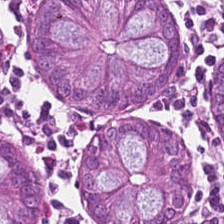Formalin-fixed paraffin-embedded section; 224×224 px tile; H&E stain.
Showing non-neoplastic colon mucosa.
